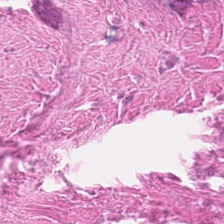Stain: H&E-stained tissue section.
Predominant tissue: necrotic debris.
